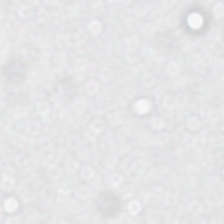H&E. {"content": "empty background"}
